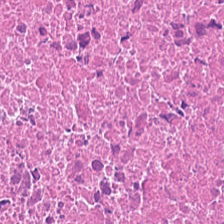{"tissue_type": "cellular debris"}
